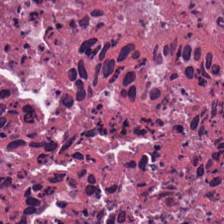H&E. 224×224 pixel tile.
Predominant tissue: necrotic debris.
